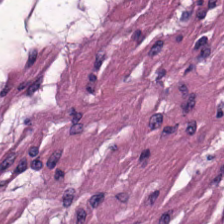H&E-stained tissue section. Impression → smooth muscle.
